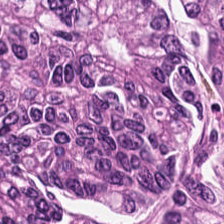H&E-stained tissue section showing colorectal adenocarcinoma epithelium.
